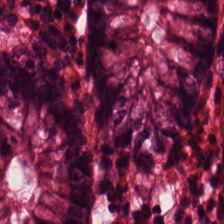H&E stain. Impression — benign colonic mucosa.
